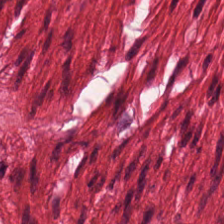Hematoxylin-and-eosin stained section. 20× equivalent magnification. Q: Classify this patch.
A: The field shows muscularis.
